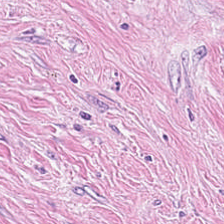Hematoxylin and eosin — Histology → cancer-associated stroma.
